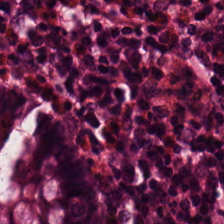Q: Identify the tissue.
A: It is non-neoplastic colon mucosa.
